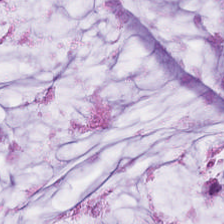H&E.
Classification = mucus.
